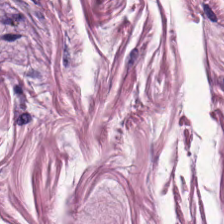H&E. 224×224 px patch. FFPE tissue section.
Q: What is shown in this field?
A: This is muscularis.
